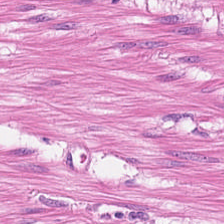Hematoxylin and eosin — Predominantly smooth muscle.
